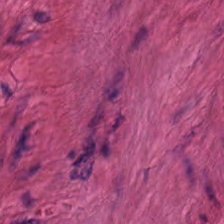Stain: hematoxylin and eosin.
Predominant tissue: smooth muscle.
